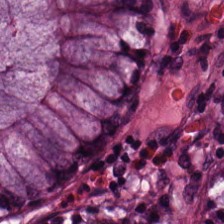H&E-stained tissue section · FFPE tissue section.
This field is normal colon mucosa.
